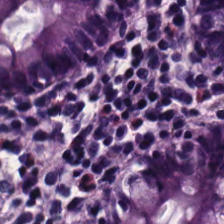H&E-stained tissue section. This field is normal colon mucosa.
